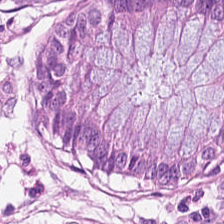Hematoxylin and eosin.
The predominant tissue is benign colonic mucosa.
